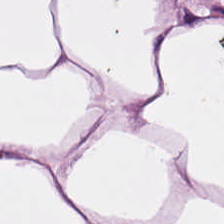Predominantly adipose.
